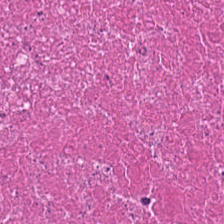H&E stain — {"tissue_type": "debris"}
